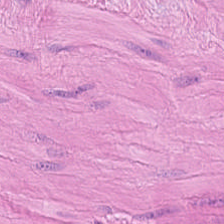H&E-stained tissue section; brightfield microscopy.
Histology — smooth-muscle tissue.
